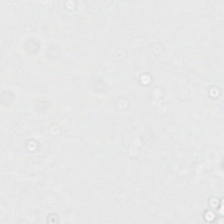H&E.
Histology → background (no tissue).
